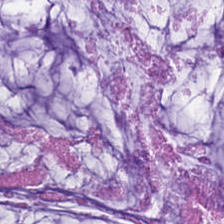The predominant tissue is mucin.
